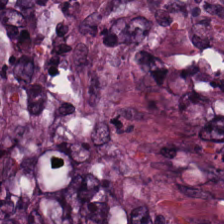Hematoxylin and eosin. 0.5 µm per pixel. 224×224 px tile.
This field is colorectal adenocarcinoma epithelium.
